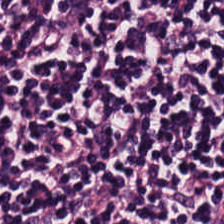H&E.
{"tissue_type": "lymphoid infiltrate"}
